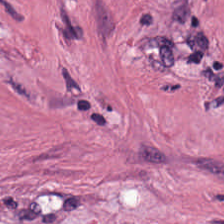FFPE · H&E-stained tissue section · 224×224 pixel tile. Q: Identify the tissue.
A: It is tumor-associated stroma.
